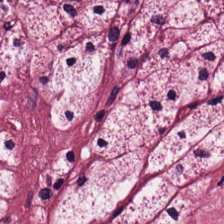H&E stain.
Classification = tumor stroma.
